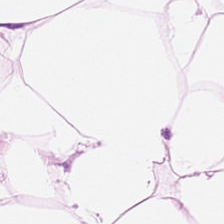The predominant tissue is adipose tissue.
